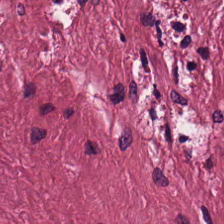Hematoxylin and eosin — Predominantly tumor stroma.
